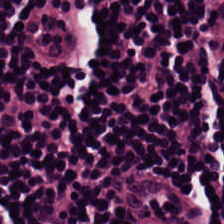Hematoxylin-and-eosin stained section — This field is lymphocytes.
